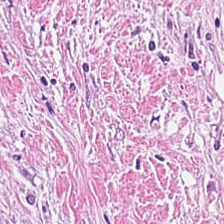Tissue — tumor stroma.
